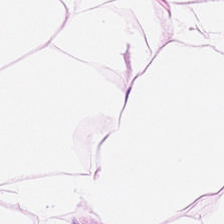Showing adipocytes.
